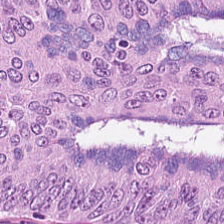Predominantly colorectal adenocarcinoma.
